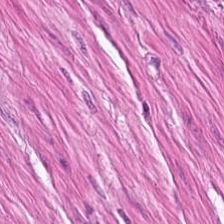H&E-stained tissue section — Q: What tissue type is shown here?
A: It is smooth-muscle tissue.
